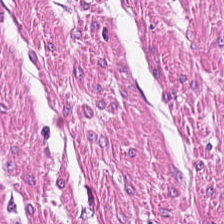FFPE tissue section; hematoxylin-and-eosin stained section. The predominant tissue is smooth-muscle tissue.
